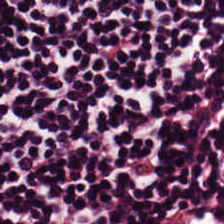H&E.
The tissue here is lymphocyte aggregate.
